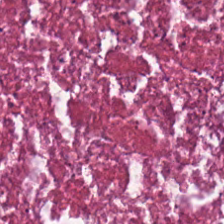H&E; 224×224 px patch. The predominant tissue is necrotic debris.
